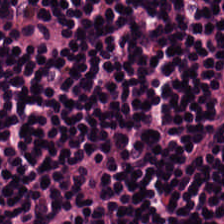Brightfield microscopy. FFPE tissue section. Hematoxylin-and-eosin stained section. Classification — lymphocytes.
